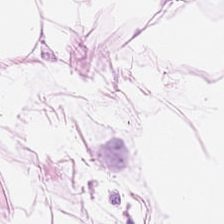Hematoxylin and eosin.
This field is adipose.
